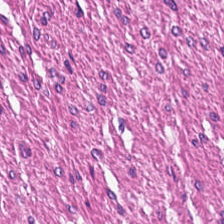Impression — smooth-muscle tissue.
